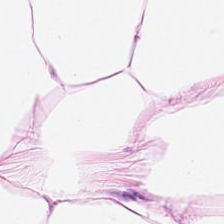Predominantly fat tissue.
